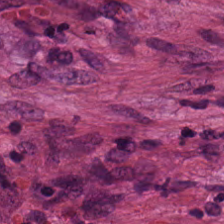WSI patch · 0.5 µm per pixel · H&E stain — Q: Identify the tissue.
A: This is tumor stroma.
